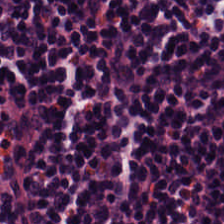H&E — The predominant tissue is lymphocytic infiltrate.
